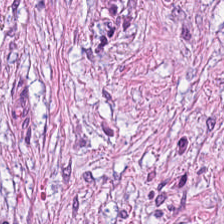H&E. Predominantly tumor-associated stroma.
